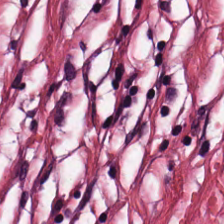0.5 µm/px · H&E-stained tissue section. Impression → cancer-associated stroma.
